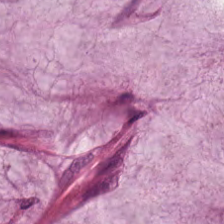Predominant tissue — extracellular mucin.
